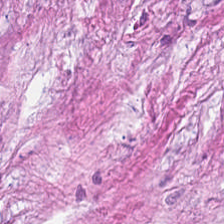H&E-stained tissue section; brightfield — The tissue type is desmoplastic stroma.
